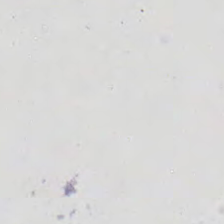224×224 px patch; hematoxylin-and-eosin stained section. The classification is background (no tissue).
